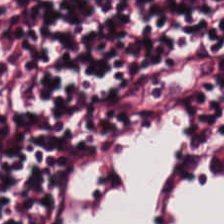Tissue — lymphocytic infiltrate.
